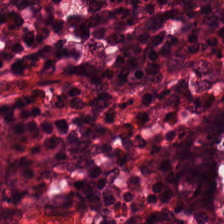H&E — Predominantly non-neoplastic colon mucosa.
